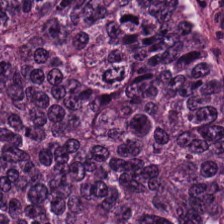H&E patch showing colorectal adenocarcinoma epithelium.
